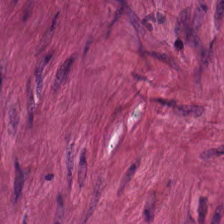Predominant tissue: smooth-muscle tissue.
